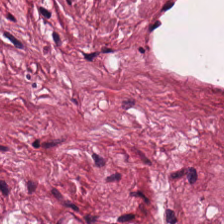H&E stain — Q: Classify this patch.
A: Cancer-associated stroma.
